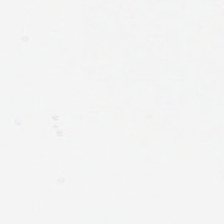224×224 pixel tile · hematoxylin and eosin — This patch shows empty background.
